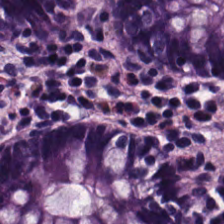H&E — {"tissue_type": "benign colonic mucosa"}
